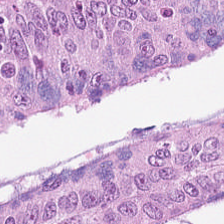H&E-stained tissue section. Q: What is shown in this field?
A: Malignant epithelium.
